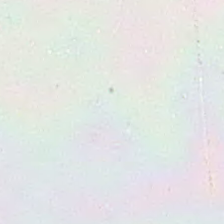Hematoxylin and eosin — Histology — background (no tissue).
